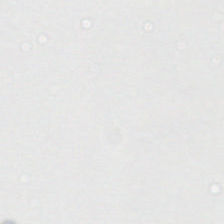Field content: background (no tissue).
